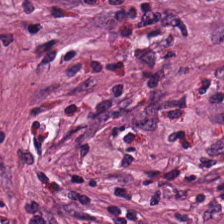H&E-stained tissue section.
Classification = tumor-associated stroma.
